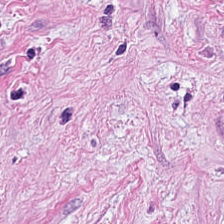The tissue is desmoplastic stroma.
